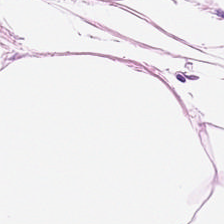FFPE tissue section · hematoxylin and eosin. Predominant tissue — adipose tissue.
